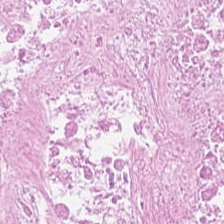Whole-slide-image patch · 20× equivalent magnification · hematoxylin and eosin.
The predominant tissue is necrotic debris.
